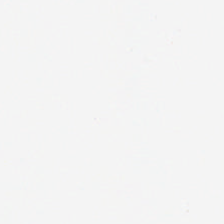H&E — {"content": "empty background"}
